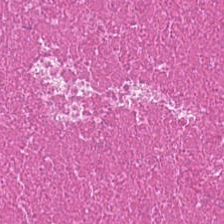Tissue type: cellular debris.
